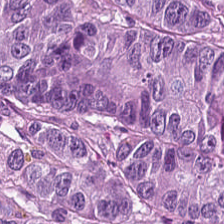FFPE tissue section. H&E-stained tissue section. This patch shows adenocarcinoma.
